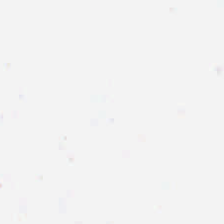Hematoxylin-and-eosin stained section. Impression → background.
